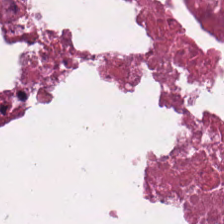H&E — Q: What tissue type is shown here?
A: The field shows cellular debris.
